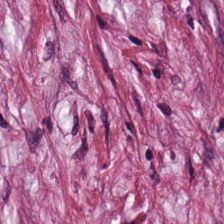Stain: H&E stain.
Preparation: FFPE tissue section.
Resolution: 20× equivalent magnification.
Predominant tissue: tumor-associated stroma.
